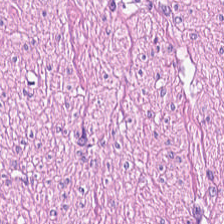H&E stain · brightfield microscopy — The tissue here is muscularis.
